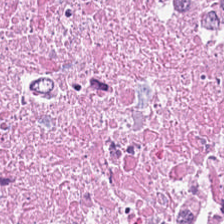H&E-stained tissue section. Histology → necrotic debris.
